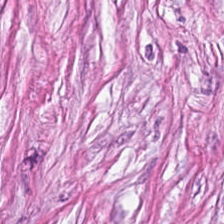H&E-stained tissue section. Impression → tumor stroma.
